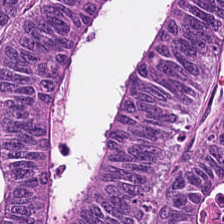Stain: H&E-stained tissue section.
Tissue class: colorectal adenocarcinoma epithelium.
